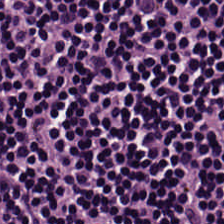Hematoxylin-and-eosin stained section. 20× equivalent magnification — Showing lymphocytic infiltrate.
